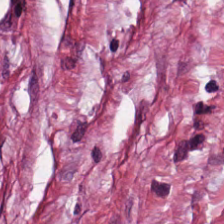Hematoxylin-and-eosin section: desmoplastic stroma.
